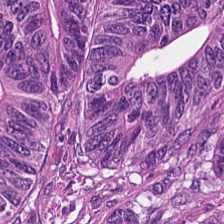Hematoxylin-and-eosin stained section · brightfield microscopy. Tissue: colorectal adenocarcinoma.
